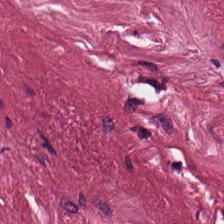224×224 px tile · hematoxylin-and-eosin stained section — The tissue here is tumor stroma.
